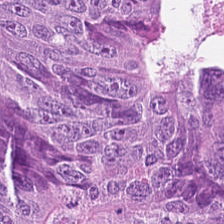Hematoxylin and eosin — The tissue here is colorectal adenocarcinoma epithelium.
